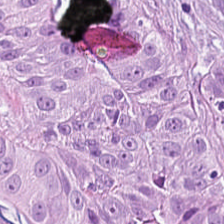Stain: H&E-stained tissue section.
Tissue: colorectal adenocarcinoma epithelium.
